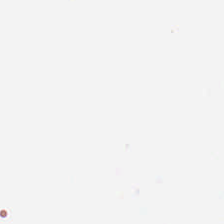Stain: hematoxylin-and-eosin stained section.
Content: background.
